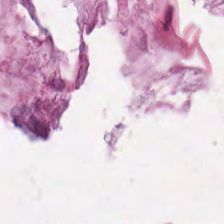Q: What tissue type is shown here?
A: The field shows mucin.
